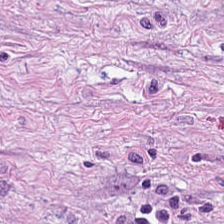The tissue is cancer-associated stroma.
